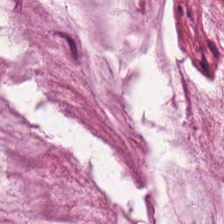H&E stain — The predominant tissue is mucin.
